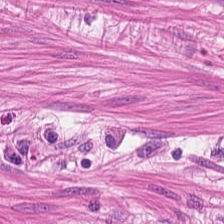224×224 pixel tile · hematoxylin-and-eosin stained section — The classification is smooth-muscle tissue.
